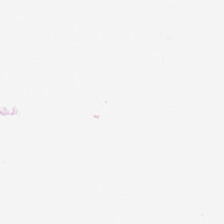0.5 µm/px; H&E-stained tissue section. No tissue.
